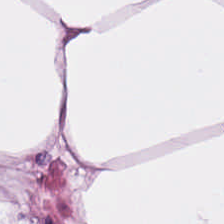H&E. FFPE. Q: What does this patch show?
A: Adipose.
